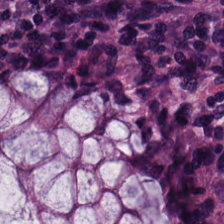H&E-stained tissue section. 0.5 µm/px — The tissue is normal colonic mucosa.
